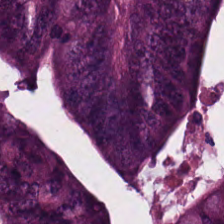Hematoxylin-and-eosin stained section — Q: What tissue type is shown here?
A: This is malignant epithelium.
